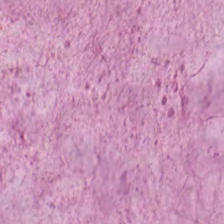Hematoxylin and eosin; 0.5 µm per pixel; 224×224 pixel tile — Q: What is shown in this field?
A: It is mucus.
